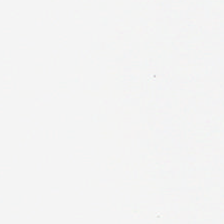H&E stain — Histology — empty background.
